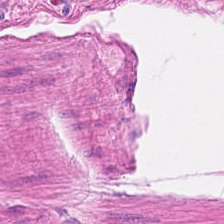H&E stain — Q: Classify this patch.
A: Smooth-muscle tissue.
